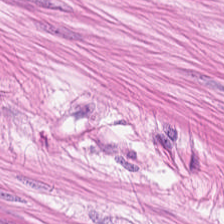Hematoxylin and eosin. 224×224 pixel tile. Brightfield.
Finding → smooth muscle.
